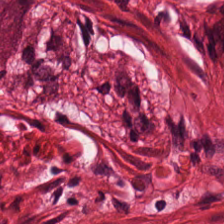Formalin-fixed paraffin-embedded section; H&E — The tissue class is muscularis.
